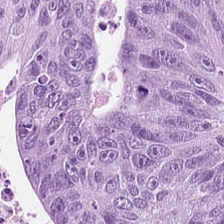Predominantly malignant epithelium.
